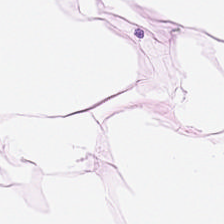H&E stain. Showing fat tissue.
